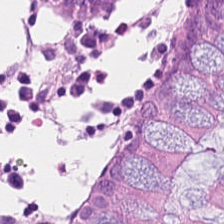H&E-stained tissue section. Histology — normal colonic mucosa.
